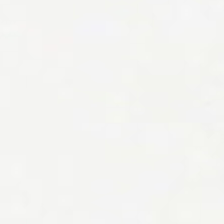Stain: H&E-stained tissue section.
Field content: background.
